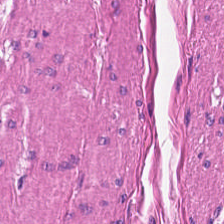Whole-slide-image patch; 0.5 µm/px; H&E-stained tissue section. This field is muscularis.
